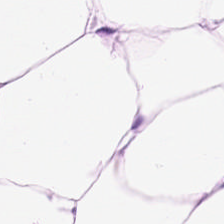Hematoxylin and eosin — Tissue class — adipose.
